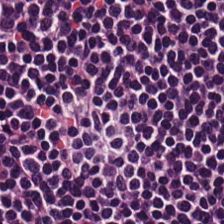Stain: hematoxylin and eosin.
Tissue type: lymphocyte aggregate.
